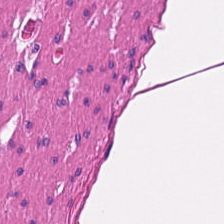{"tissue_type": "smooth-muscle tissue"}
